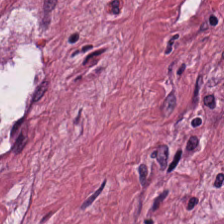Hematoxylin and eosin; FFPE tissue section; 224×224 px patch — The tissue here is cancer-associated stroma.
